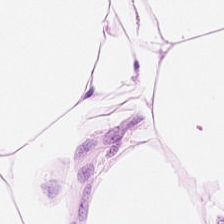{"tissue_type": "adipose tissue"}
